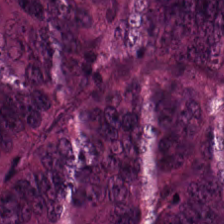H&E-stained tissue section. 0.5 microns per pixel. Impression → colorectal adenocarcinoma epithelium.
